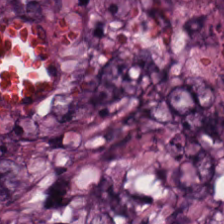Stain: hematoxylin and eosin.
Tissue class: colorectal adenocarcinoma epithelium.
